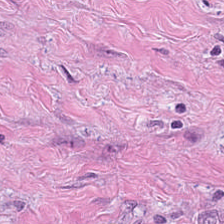Stain: hematoxylin-and-eosin stained section.
Preparation: FFPE tissue section.
Resolution: 20× equivalent magnification.
Tissue type: tumor stroma.
